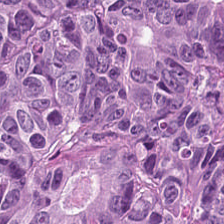FFPE. Hematoxylin-and-eosin stained section — Classification — tumor epithelium.
